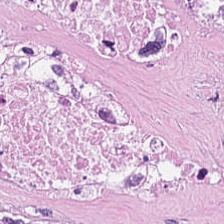H&E. Predominant tissue — cellular debris.
